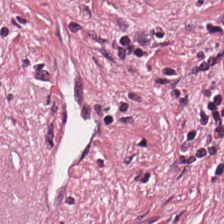Stain: H&E stain.
Acquisition: WSI patch.
Tissue type: cancer-associated stroma.
